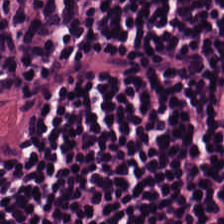Stain: hematoxylin-and-eosin stained section.
Tissue: lymphocyte aggregate.
